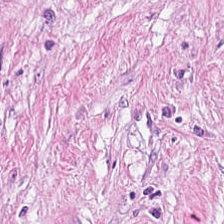Tissue type: cancer-associated stroma.
